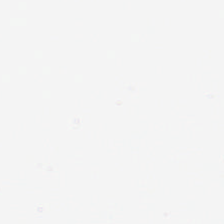H&E-stained tissue section — Content: empty background.
